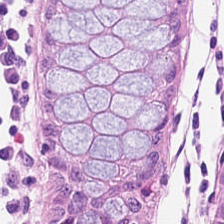Brightfield microscopy · hematoxylin and eosin. The predominant tissue is non-neoplastic colon mucosa.
